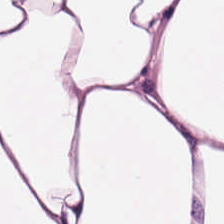Hematoxylin-and-eosin stained section. FFPE. Brightfield — Finding → adipose tissue.
